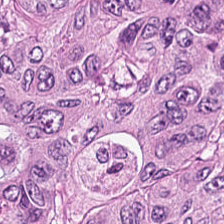H&E patch showing malignant epithelium.
